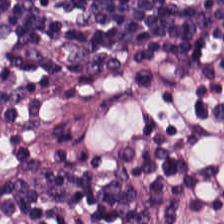Hematoxylin-and-eosin stained section — Showing lymphoid infiltrate.
